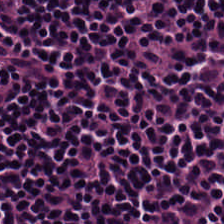Hematoxylin-and-eosin stained section.
The tissue type is lymphocyte aggregate.
